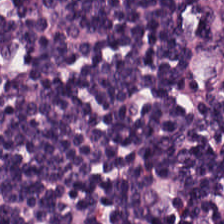Hematoxylin and eosin; 224×224 px patch — Impression → lymphocyte aggregate.
